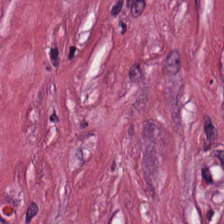H&E-stained tissue section. Predominant tissue — desmoplastic stroma.
